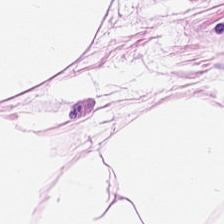0.5 µm/px; H&E stain; FFPE — Tissue type: adipose.
